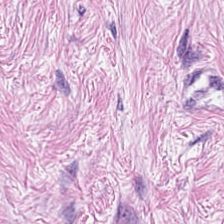H&E-stained tissue section showing desmoplastic stroma.
